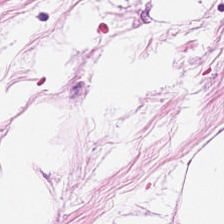H&E.
Tissue class = adipose tissue.
